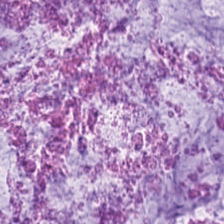H&E stain; whole-slide-image patch. The tissue here is mucin.
